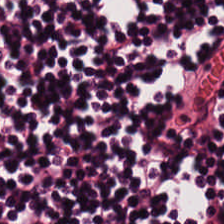H&E. Showing lymphoid infiltrate.
